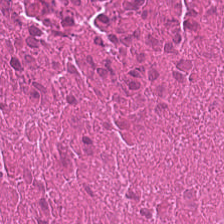H&E-stained tissue section; 224×224 px tile — {"tissue_type": "debris"}
